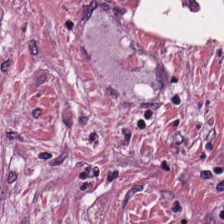Hematoxylin and eosin · formalin-fixed paraffin-embedded section. Classification: tumor-associated stroma.
